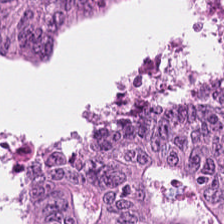H&E-stained tissue section; 224×224 px patch.
The predominant tissue is tumor epithelium.
